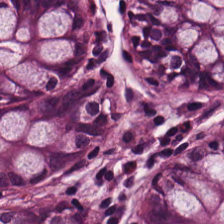Hematoxylin and eosin; formalin-fixed paraffin-embedded section.
Q: What is the predominant tissue type?
A: It is normal colon mucosa.
